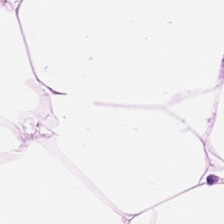Stain: H&E-stained tissue section.
Acquisition: brightfield microscopy.
Tissue type: adipose tissue.
